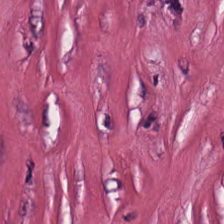224×224 pixel tile. H&E-stained tissue section. 20× equivalent magnification — {"tissue_type": "tumor stroma"}
